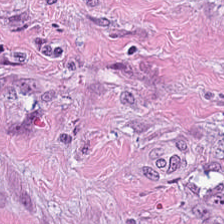Hematoxylin-and-eosin stained section — {"tissue_type": "cancer-associated stroma"}
